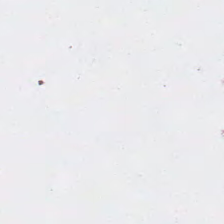H&E. Brightfield. FFPE. Impression → background.
